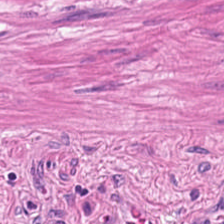H&E; brightfield; 0.5 µm per pixel. Showing smooth-muscle tissue.
